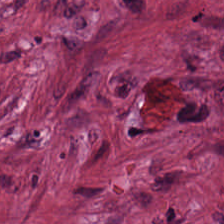Stain: hematoxylin and eosin.
Acquisition: brightfield.
Predominant tissue: cancer-associated stroma.
